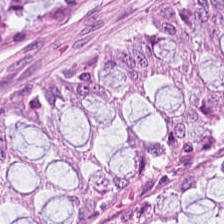The tissue class is normal colon mucosa.
